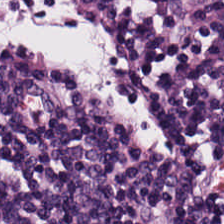0.5 microns per pixel; hematoxylin-and-eosin stained section — Q: What is shown in this field?
A: Lymphoid infiltrate.
